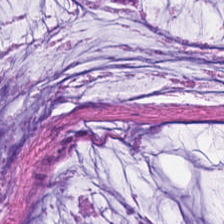Q: What is shown here?
A: Extracellular mucin.
